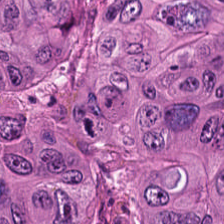224×224 px tile; hematoxylin-and-eosin stained section; 0.5 µm/px — Predominantly colorectal adenocarcinoma.
